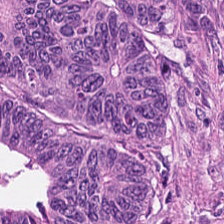H&E stain. The tissue here is malignant epithelium.
